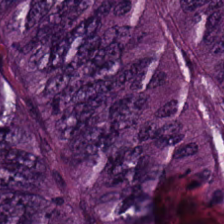Stain: H&E-stained tissue section.
Preparation: FFPE.
Predominant tissue: tumor epithelium.
